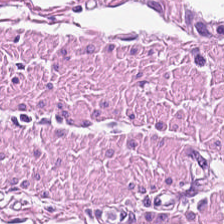H&E-stained section; the field shows smooth muscle.
